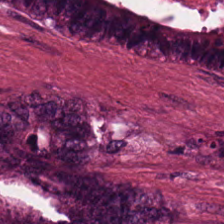Hematoxylin and eosin. 0.5 microns per pixel — Tissue class: malignant epithelium.
